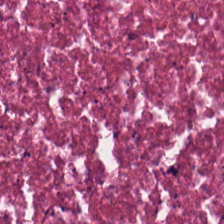Hematoxylin and eosin; FFPE — Finding → debris.
